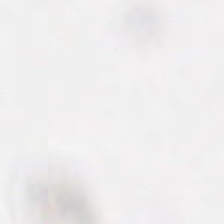Hematoxylin-and-eosin stained section · brightfield microscopy · 224×224 px tile.
Histology — no tissue.
